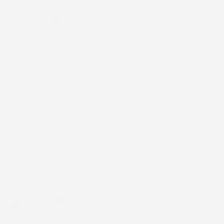Hematoxylin and eosin. This field is background (no tissue).
